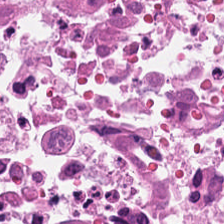Hematoxylin-and-eosin stained section — This patch shows necrotic debris.
